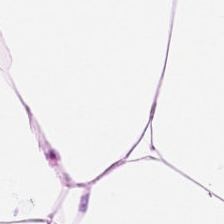H&E. Classification: adipocytes.
